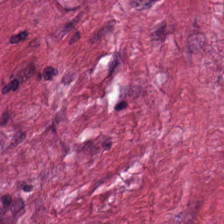Stain: H&E stain.
Tissue type: desmoplastic stroma.
